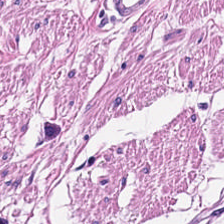H&E. 224×224 px tile. Q: What type of tissue is this?
A: The field shows smooth muscle.
